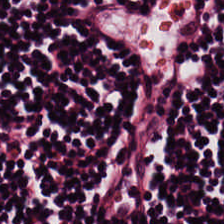FFPE tissue section. H&E-stained tissue section. WSI patch. Tissue class = lymphoid infiltrate.
